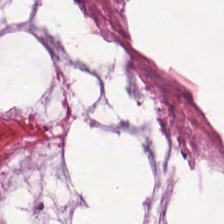224×224 pixel tile; H&E-stained tissue section. Tissue: mucin.
